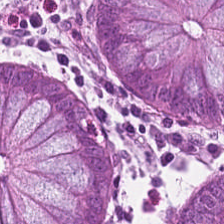FFPE · hematoxylin-and-eosin stained section — Predominantly benign colonic mucosa.
